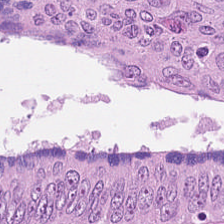Formalin-fixed paraffin-embedded section · hematoxylin and eosin — The tissue here is colorectal adenocarcinoma epithelium.
